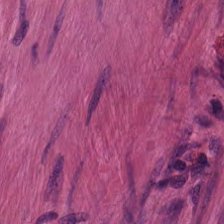H&E.
Tissue class: smooth-muscle tissue.
